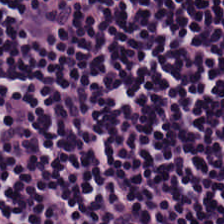H&E.
The classification is lymphocyte aggregate.
